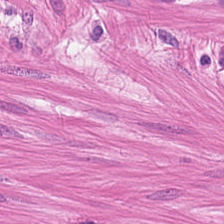Hematoxylin and eosin · brightfield — This field is smooth muscle.
